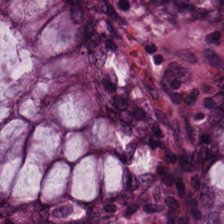Hematoxylin and eosin.
Q: What does this patch show?
A: The field shows normal colon mucosa.
